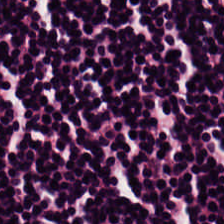Stain: hematoxylin-and-eosin stained section.
Preparation: FFPE.
Tissue class: lymphocyte aggregate.
